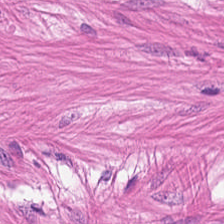H&E; 20× equivalent magnification — The tissue here is smooth muscle.
